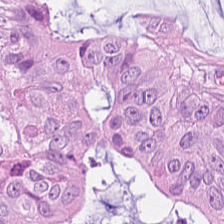Hematoxylin-and-eosin stained section · 224×224 px tile · formalin-fixed paraffin-embedded section.
Tissue: colorectal adenocarcinoma epithelium.
